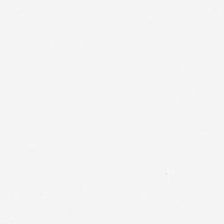H&E-stained tissue section. Q: What is shown here?
A: It is background (no tissue).
